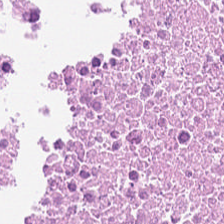H&E-stained tissue section showing debris.
